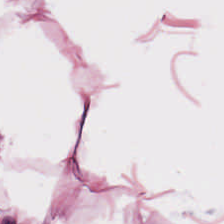Fat tissue.
